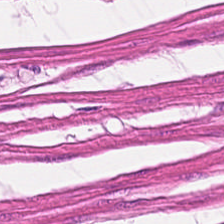H&E-stained tissue section. Predominantly smooth muscle.
